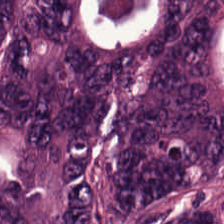Hematoxylin and eosin; 0.5 µm per pixel; 224×224 px patch.
This patch shows malignant epithelium.
